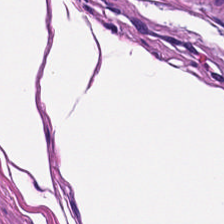Q: Identify the tissue.
A: Smooth muscle.
